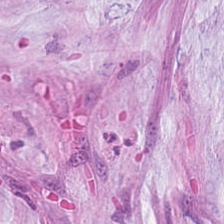H&E-stained tissue section. Finding → mucin.
